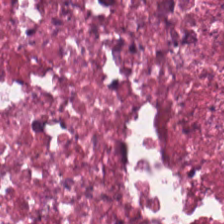Tissue class: debris.
